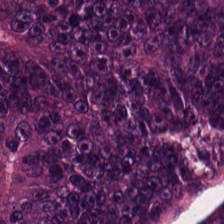Stain: H&E-stained tissue section.
Tissue: colorectal adenocarcinoma.
